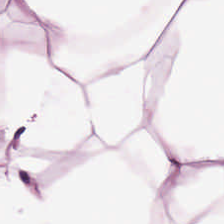H&E stain. Fat tissue.
